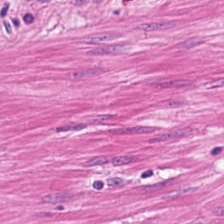Hematoxylin-and-eosin stained section. This field is smooth-muscle tissue.
